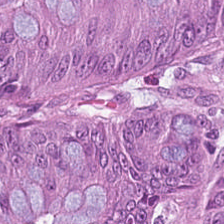H&E — Q: Classify this patch.
A: The field shows malignant epithelium.
